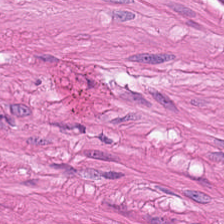Predominantly smooth-muscle tissue.
